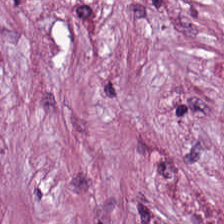Hematoxylin and eosin · 0.5 µm/px. The predominant tissue is cancer-associated stroma.
